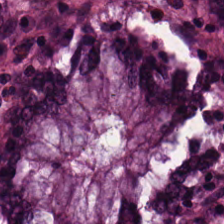Stain: H&E-stained tissue section.
Tissue class: normal colonic mucosa.
